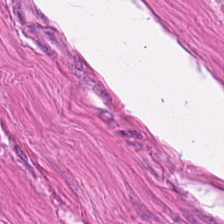Stain: hematoxylin and eosin.
Predominant tissue: muscularis.
